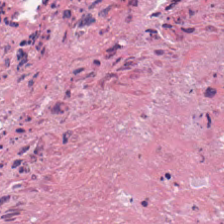H&E patch showing necrotic debris.
